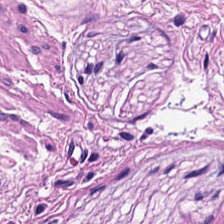Stain: H&E-stained tissue section.
Tile size: 224×224 pixel tile.
Tissue class: smooth-muscle tissue.
